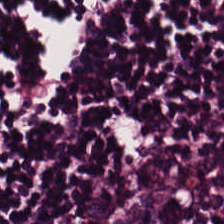H&E; 20× equivalent magnification — Predominant tissue: lymphocytes.
